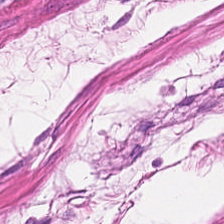H&E. Tissue — muscularis.
